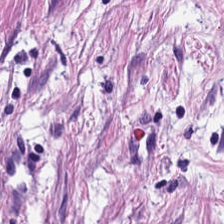Stain: hematoxylin and eosin.
Tissue class: cancer-associated stroma.
